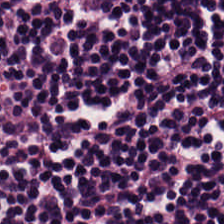Hematoxylin and eosin; 0.5 microns per pixel.
The tissue class is lymphocytic infiltrate.
